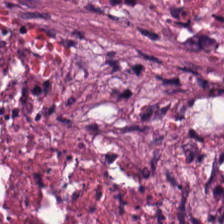0.5 µm per pixel. H&E-stained tissue section. 224×224 pixel tile.
The tissue here is necrotic debris.
